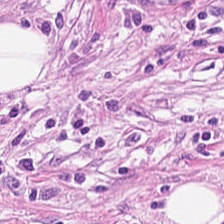Hematoxylin-and-eosin stained section. Predominantly desmoplastic stroma.
